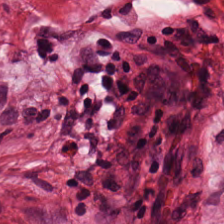WSI patch; hematoxylin and eosin; 224×224 pixel tile. Q: What is shown in this field?
A: This is muscularis.
